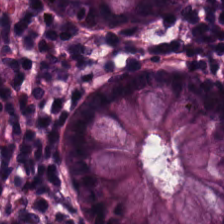Stain: H&E.
Classification: normal colon mucosa.
